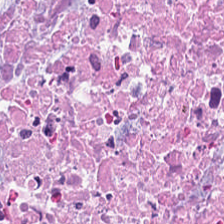H&E-stained tissue section; 0.5 microns per pixel. Classification: necrotic debris.
